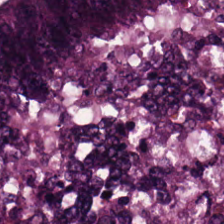H&E stain · FFPE tissue section — The tissue here is adenocarcinoma.
